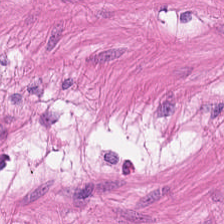0.5 microns per pixel · whole-slide-image patch · H&E.
The predominant tissue is smooth muscle.
